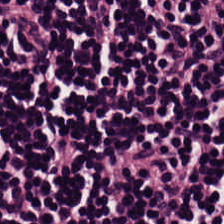20× equivalent magnification. FFPE. H&E stain.
Histology — lymphoid infiltrate.
